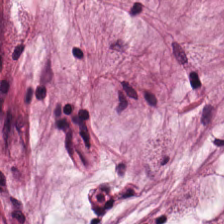H&E. Q: Identify the tissue.
A: The field shows mucus.
